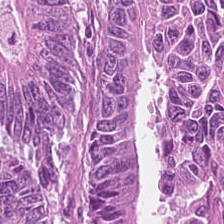H&E stain; 224×224 px tile. {"tissue_type": "colorectal adenocarcinoma"}
